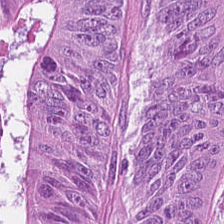Hematoxylin and eosin. Predominantly colorectal adenocarcinoma epithelium.
